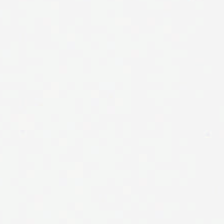Finding — no tissue.
